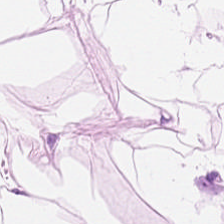H&E stain.
Q: What does this patch show?
A: Adipose tissue.
